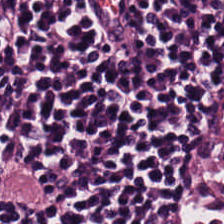H&E-stained tissue section.
The tissue is lymphocytes.
